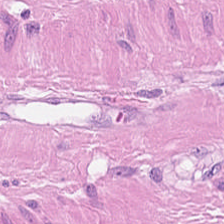Formalin-fixed paraffin-embedded section; hematoxylin-and-eosin stained section; 224×224 px patch.
Tissue type — muscularis.
